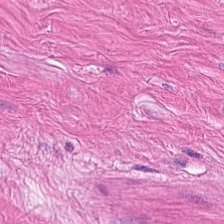H&E; 224×224 px tile — Impression → muscularis.
